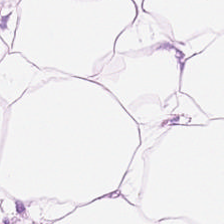Impression → adipose tissue.
